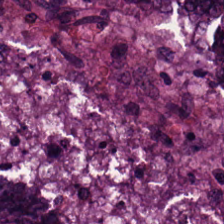H&E stain. This patch shows colorectal adenocarcinoma epithelium.
